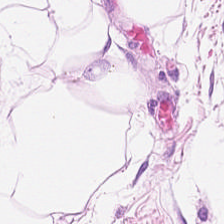224×224 pixel tile; FFPE; H&E — Q: Identify the tissue.
A: Adipose tissue.
